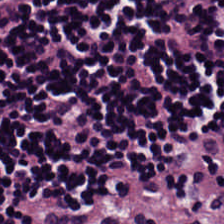Stain: hematoxylin and eosin.
Tissue class: lymphocytic infiltrate.
